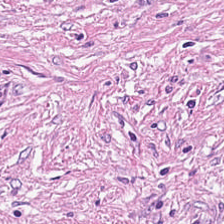The tissue is tumor-associated stroma.
